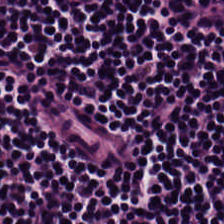This field is lymphocytes.
